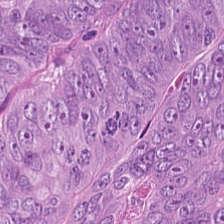H&E — adenocarcinoma.
